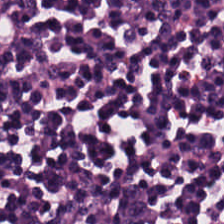This patch shows lymphocytes.
